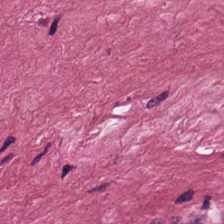H&E.
This field is desmoplastic stroma.
